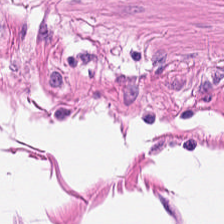H&E. The predominant tissue is smooth muscle.
